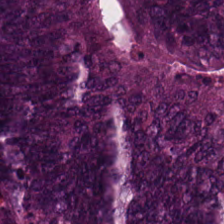224×224 px patch · 0.5 µm per pixel · H&E — This patch shows tumor epithelium.
